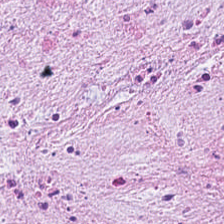H&E-stained tissue section.
This field is tumor-associated stroma.
